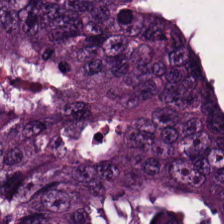The classification is colorectal adenocarcinoma epithelium.
